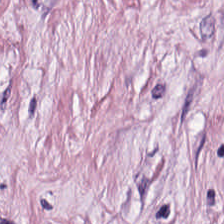H&E stain — Showing tumor stroma.
